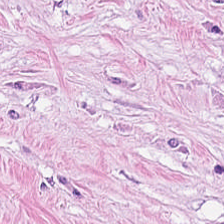Tissue class = tumor stroma.
